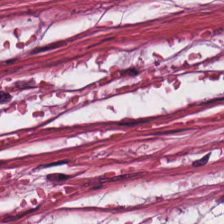Hematoxylin-and-eosin stained section. 224×224 px tile. 0.5 µm/px. Tumor stroma.
